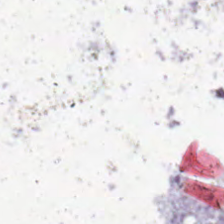Hematoxylin and eosin.
Classification = background.
